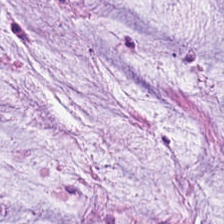Showing extracellular mucin.
